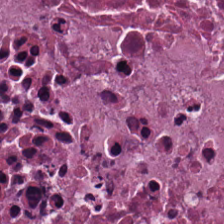H&E-stained tissue section — This field is debris.
